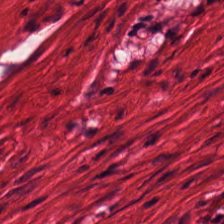20× equivalent magnification · H&E stain — Smooth muscle.
